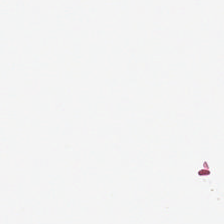FFPE tissue section. H&E stain — No tissue present; background only.
